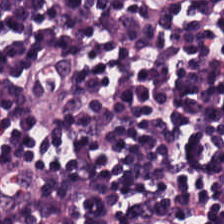Hematoxylin and eosin. Impression → lymphoid infiltrate.
